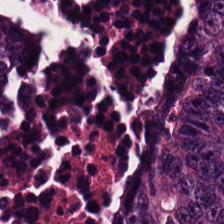Predominant tissue: colorectal adenocarcinoma epithelium.
